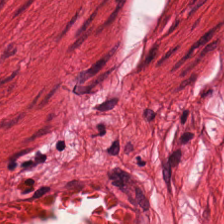H&E stain — Showing smooth-muscle tissue.
